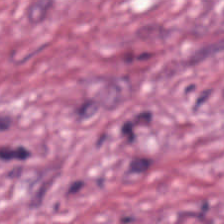20× equivalent magnification. H&E.
The predominant tissue is tumor stroma.
